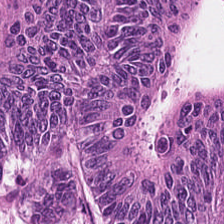224×224 pixel tile; H&E stain; 20× equivalent magnification — {"tissue_type": "adenocarcinoma"}
